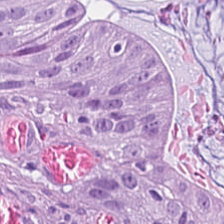FFPE tissue section. H&E-stained tissue section — Q: Classify this patch.
A: Tumor epithelium.
